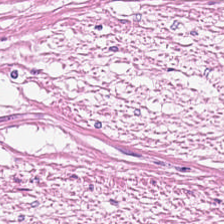H&E-stained tissue section; 0.5 µm/px.
The tissue class is smooth-muscle tissue.
